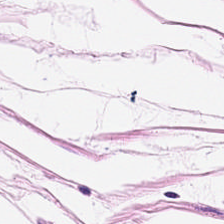Formalin-fixed paraffin-embedded section. Brightfield microscopy. H&E.
Impression → adipose.
